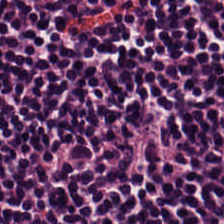Brightfield microscopy. H&E-stained tissue section.
The tissue here is lymphocytic infiltrate.
